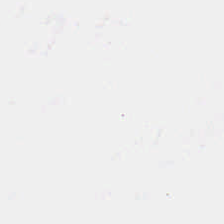224×224 pixel tile · H&E stain · formalin-fixed paraffin-embedded section. Classification = background.
